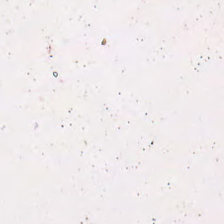H&E stain. 224×224 px tile — {"tissue_type": "necrotic debris"}
